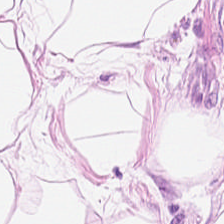H&E-stained tissue section.
Tissue type: adipocytes.
